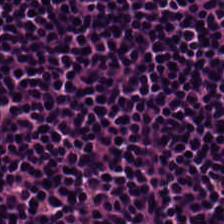224×224 px tile; hematoxylin and eosin.
Q: What tissue is shown?
A: Lymphocytes.
